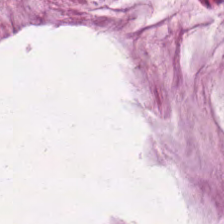H&E stain.
The tissue here is mucus.
